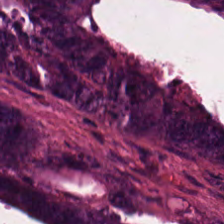224×224 px tile. H&E — Tissue class — adenocarcinoma.
